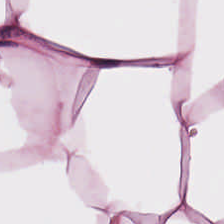Tissue: adipose.
